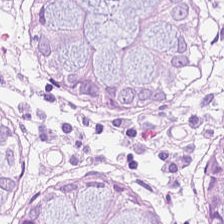Stain: H&E.
Resolution: 0.5 microns per pixel.
Tissue class: non-neoplastic colon mucosa.
